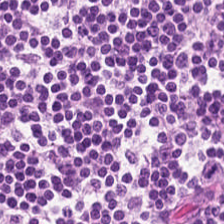FFPE tissue section · 20× equivalent magnification · H&E-stained tissue section.
Lymphocytic infiltrate.
